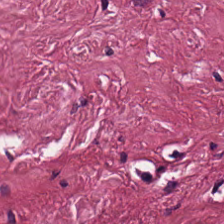20× equivalent magnification. Whole-slide-image patch. H&E-stained tissue section.
Predominant tissue: tumor stroma.
